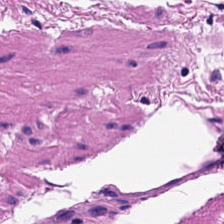Hematoxylin-and-eosin stained section.
The tissue type is muscularis.
